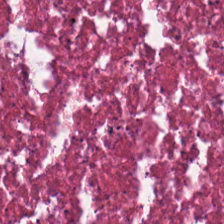H&E · 224×224 px tile.
The predominant tissue is debris.
